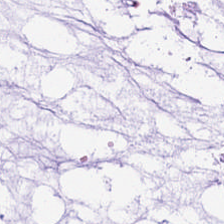Hematoxylin-and-eosin stained section. Predominant tissue — mucin.
